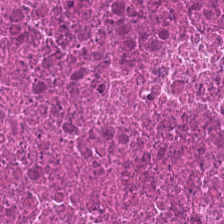Brightfield · hematoxylin-and-eosin stained section.
Predominant tissue: necrotic debris.
